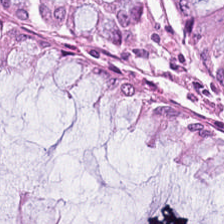Brightfield microscopy; H&E stain.
Predominant tissue — benign colonic mucosa.
